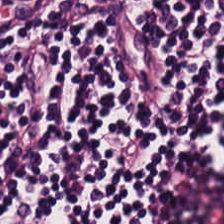Tissue: lymphoid infiltrate.
